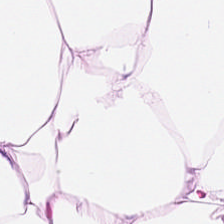H&E.
Tissue type = adipocytes.
